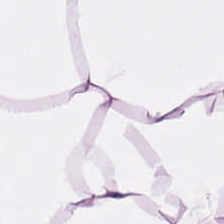H&E-stained tissue section. Predominantly adipose tissue.
